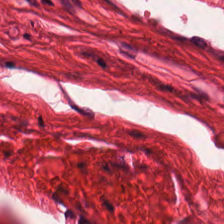H&E. Smooth-muscle tissue.
